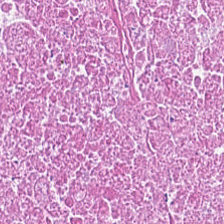FFPE · hematoxylin-and-eosin stained section — Histology — necrotic debris.
